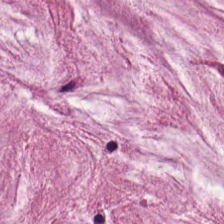Hematoxylin and eosin. FFPE. The tissue is mucus.
